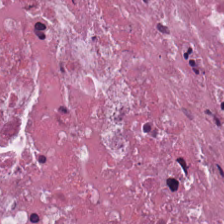Stain: H&E-stained tissue section.
Acquisition: WSI patch.
Tissue: necrotic debris.
